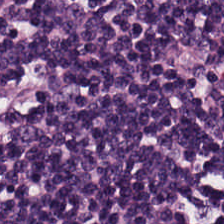This patch shows lymphocytes.
